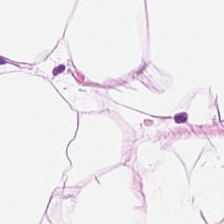Hematoxylin-and-eosin stained section — Histology → adipocytes.
